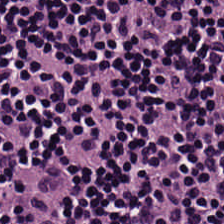Stain: hematoxylin-and-eosin stained section.
Resolution: 0.5 µm/px.
Acquisition: brightfield microscopy.
Tissue type: lymphocyte aggregate.
